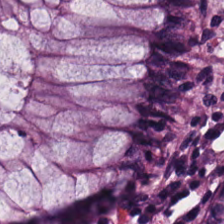Hematoxylin-and-eosin stained section; 224×224 pixel tile — Q: What is the predominant tissue type?
A: The field shows non-neoplastic colon mucosa.
